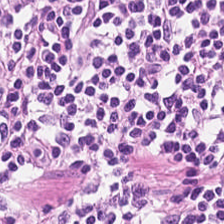Stain: hematoxylin and eosin.
Tile size: 224×224 px patch.
Preparation: FFPE.
Tissue class: lymphocytes.
